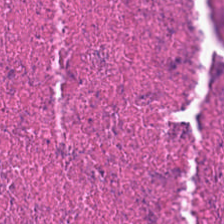Impression — cellular debris.
